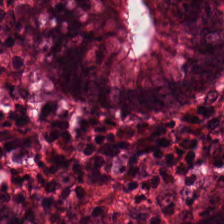0.5 µm per pixel. Hematoxylin-and-eosin stained section. WSI patch — Non-neoplastic colon mucosa.
